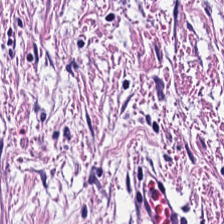Classification — tumor-associated stroma.
